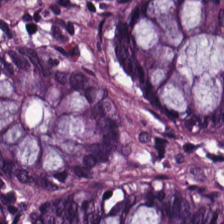FFPE. H&E-stained tissue section. This patch shows benign colonic mucosa.
